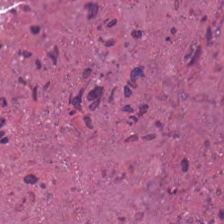H&E stain — Tissue class — debris.
